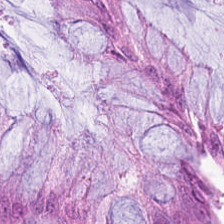Hematoxylin-and-eosin stained section — Tissue — normal colon mucosa.
